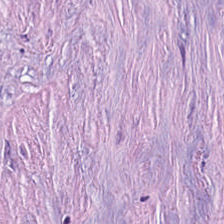H&E-stained tissue section — Q: What is the predominant tissue type?
A: It is tumor stroma.
